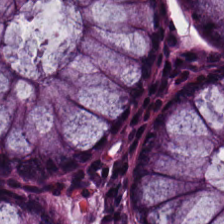0.5 µm/px · 224×224 pixel tile · H&E.
The classification is non-neoplastic colon mucosa.
